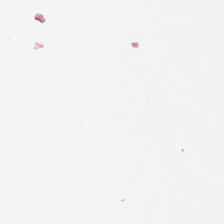Hematoxylin-and-eosin stained section; 20× equivalent magnification — Content: no tissue.
